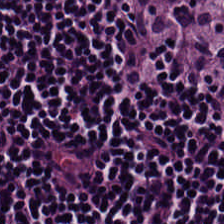Tissue = lymphoid infiltrate.
